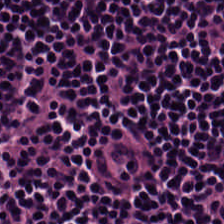H&E stain. 0.5 microns per pixel. Q: What is shown in this field?
A: Lymphoid infiltrate.
